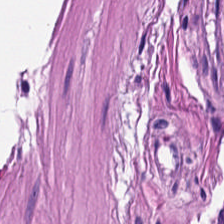Q: What tissue type is shown here?
A: The field shows smooth muscle.
